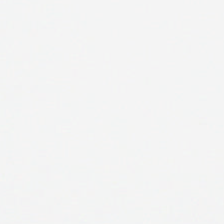H&E stain. No tissue present; background only.
